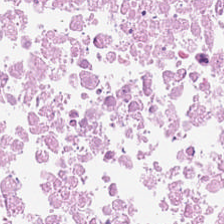Predominant tissue — cellular debris.
